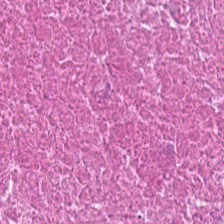Q: What tissue is shown?
A: Debris.
